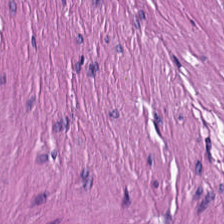H&E. Q: What tissue type is shown here?
A: It is smooth-muscle tissue.
